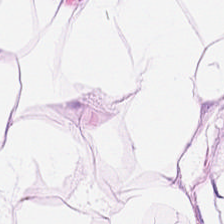Hematoxylin-and-eosin section: adipocytes.
